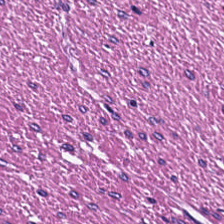H&E-stained tissue section. 0.5 µm/px — Tissue — smooth-muscle tissue.
